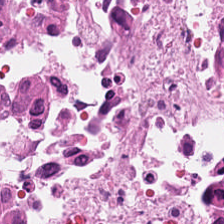Classification — debris.
